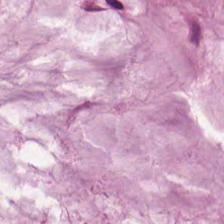The tissue is mucin.
